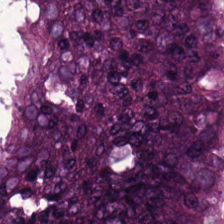Brightfield microscopy; H&E stain; formalin-fixed paraffin-embedded section. Q: What does this patch show?
A: The field shows adenocarcinoma.
